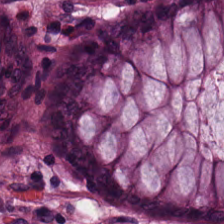Stain: hematoxylin and eosin.
Tile size: 224×224 px tile.
Predominant tissue: normal colon mucosa.
